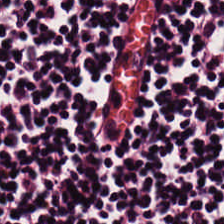Hematoxylin and eosin — Showing lymphoid infiltrate.
